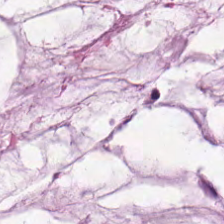Mucin.
